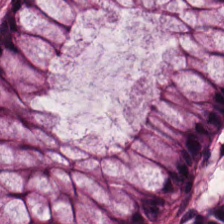Hematoxylin and eosin — Q: What is the predominant tissue type?
A: This is benign colonic mucosa.
